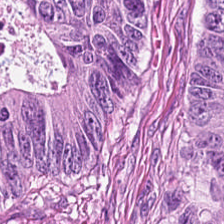Hematoxylin-and-eosin stained section — This field is colorectal adenocarcinoma epithelium.
